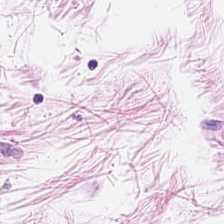H&E-stained tissue section.
The classification is adipocytes.
